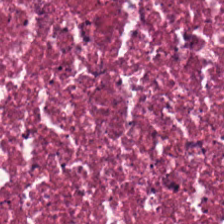Hematoxylin and eosin — This patch shows necrotic debris.
